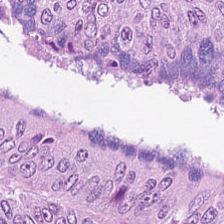H&E; WSI patch.
Predominantly colorectal adenocarcinoma.
